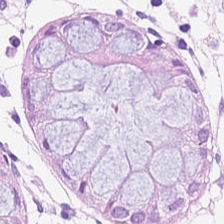Hematoxylin and eosin. 224×224 px tile. Whole-slide-image patch. This patch shows normal colon mucosa.
